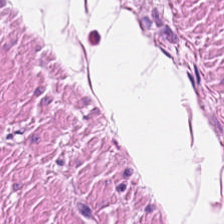H&E — Muscularis.
